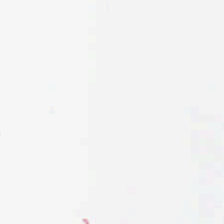Stain: H&E-stained tissue section.
Resolution: 0.5 µm/px.
Preparation: FFPE.
Content: no tissue.
